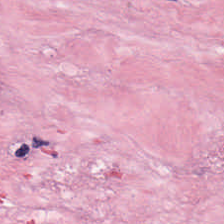H&E-stained tissue section showing cancer-associated stroma.
